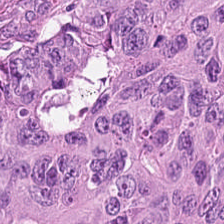Hematoxylin and eosin.
This field is colorectal adenocarcinoma.
